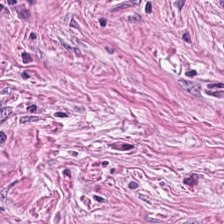Stain: hematoxylin and eosin.
Classification: cancer-associated stroma.
